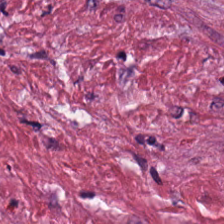H&E stain · 0.5 µm per pixel. Tissue = tumor stroma.
